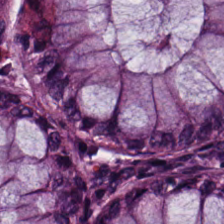224×224 px patch · hematoxylin and eosin. Classification: non-neoplastic colon mucosa.
